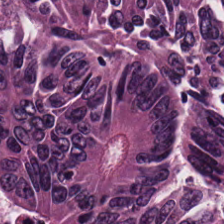Stain: hematoxylin-and-eosin stained section.
Classification: colorectal adenocarcinoma.
